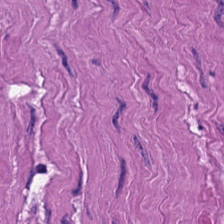Hematoxylin and eosin.
The tissue is muscularis.
